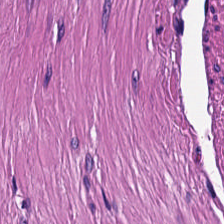Stain: H&E stain.
Resolution: 0.5 microns per pixel.
Tissue class: muscularis.
